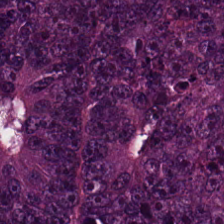The tissue class is malignant epithelium.
